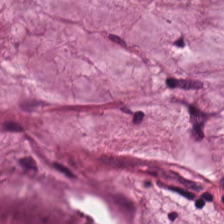Stain: H&E-stained tissue section.
Preparation: formalin-fixed paraffin-embedded section.
Tissue: mucin.
